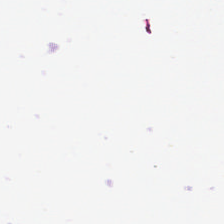0.5 µm per pixel; whole-slide-image patch; H&E — The classification is empty background.
